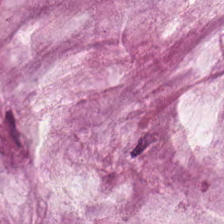Stain: H&E.
Acquisition: brightfield.
Classification: mucin.
